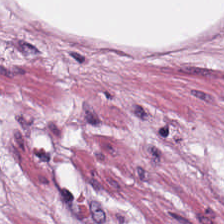Stain: hematoxylin-and-eosin stained section.
Tissue type: adipocytes.
